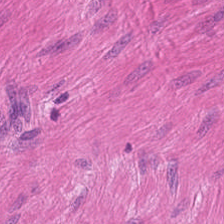H&E-stained section; the field shows smooth-muscle tissue.
